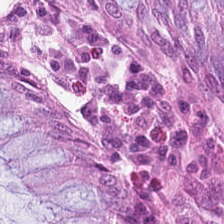H&E. Tissue class: benign colonic mucosa.
